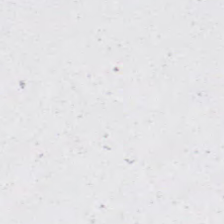224×224 px patch; hematoxylin and eosin — Content — background (no tissue).
